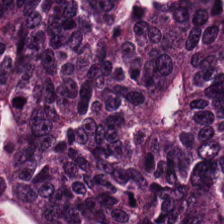This field is adenocarcinoma.
